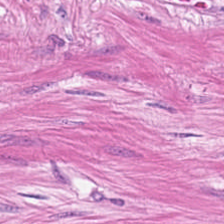H&E · FFPE. The predominant tissue is smooth muscle.
